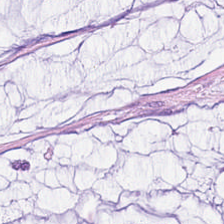Stain: hematoxylin-and-eosin stained section.
Tissue class: mucin.
